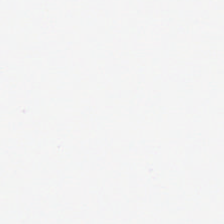H&E.
Finding — background.
